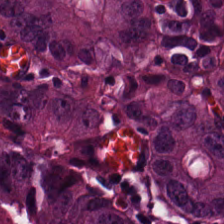H&E-stained tissue section.
Histology → colorectal adenocarcinoma.
